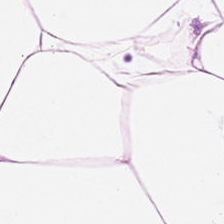Finding — adipocytes.
